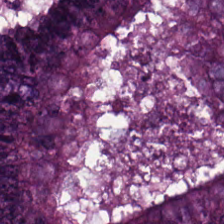Brightfield · hematoxylin and eosin.
The tissue here is colorectal adenocarcinoma.
